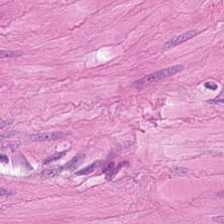H&E-stained tissue section.
The tissue here is smooth muscle.
